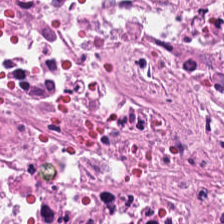H&E. Tissue: necrotic debris.
